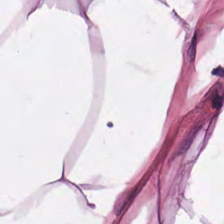WSI patch · hematoxylin-and-eosin stained section. Fat tissue.
